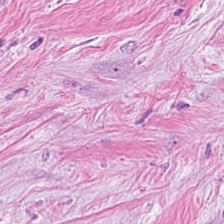H&E-stained section; the field shows tumor-associated stroma.
